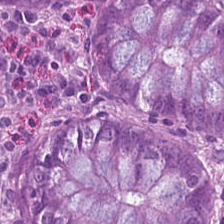Stain: H&E stain.
Tissue: normal colonic mucosa.
